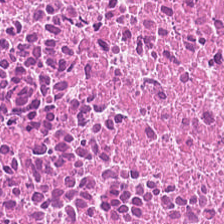H&E-stained tissue section — The predominant tissue is necrotic debris.
